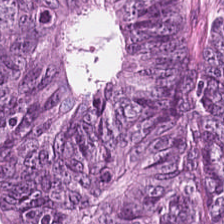0.5 microns per pixel · hematoxylin and eosin — Predominantly tumor epithelium.
